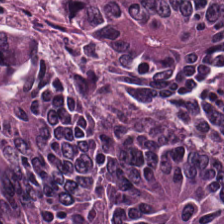H&E-stained tissue section — Q: What type of tissue is this?
A: This is malignant epithelium.
